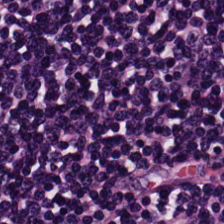Stain: H&E stain.
Predominant tissue: lymphocytic infiltrate.
